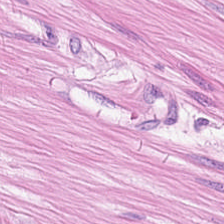H&E; 0.5 microns per pixel; FFPE tissue section. The tissue here is muscularis.
